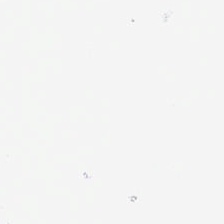224×224 px patch. H&E stain.
Histology — empty background.
